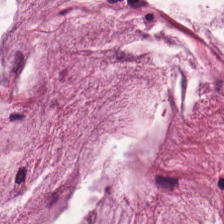Stain: hematoxylin-and-eosin stained section.
Tissue type: extracellular mucin.
